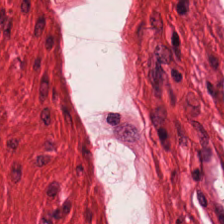Stain: H&E-stained tissue section.
Tissue: smooth-muscle tissue.
